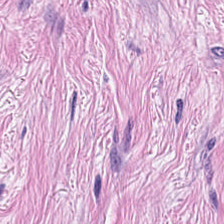H&E-stained tissue section; formalin-fixed paraffin-embedded section; 0.5 µm per pixel. {"tissue_type": "desmoplastic stroma"}
